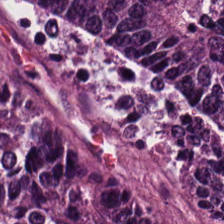H&E stain; 0.5 µm/px; 224×224 px tile. The predominant tissue is colorectal adenocarcinoma epithelium.
